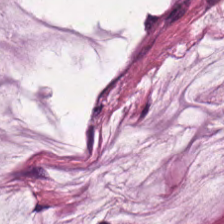H&E — Tissue type: extracellular mucin.
